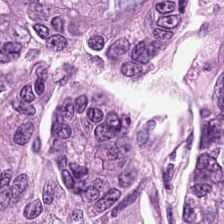Tissue type — adenocarcinoma.
